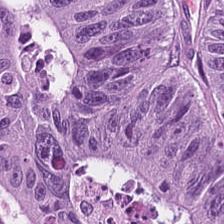H&E-stained tissue section.
This patch shows adenocarcinoma.
